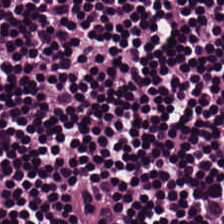Tissue class: lymphoid infiltrate.
